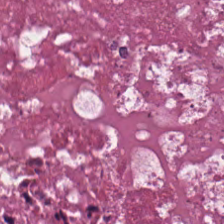H&E stain — {"tissue_type": "necrotic debris"}
